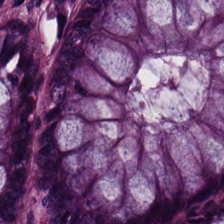Tissue type — benign colonic mucosa.
